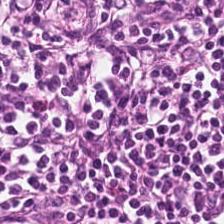Brightfield. Hematoxylin-and-eosin stained section. Classification = lymphocytes.
